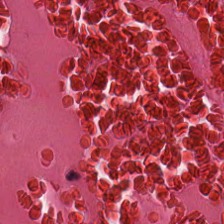Hematoxylin-and-eosin section: necrotic debris.
